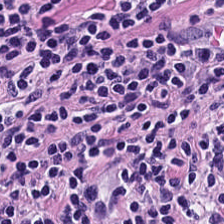H&E — lymphocytic infiltrate.
